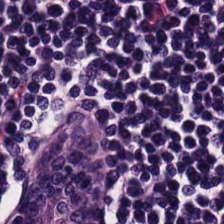Q: What is the predominant tissue type?
A: The field shows lymphocytes.
